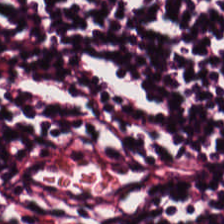Hematoxylin and eosin. Lymphoid infiltrate.
